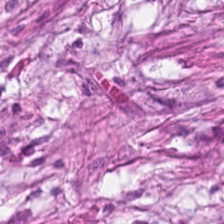H&E. Whole-slide-image patch. Classification = desmoplastic stroma.
